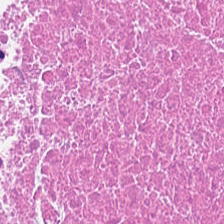{"tissue_type": "cellular debris"}
